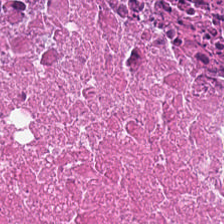224×224 px tile. H&E.
{"tissue_type": "cellular debris"}
